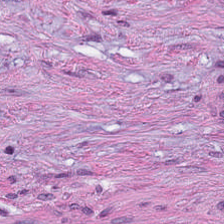Hematoxylin-and-eosin stained section — Q: What tissue is shown?
A: This is tumor stroma.
